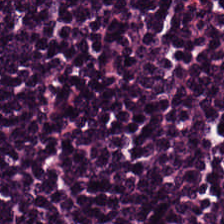Histology — lymphocyte aggregate.
